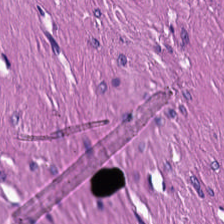224×224 pixel tile; FFPE tissue section; H&E.
The tissue here is muscularis.
